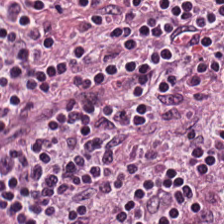Stain: H&E-stained tissue section.
Preparation: FFPE tissue section.
Tissue class: lymphocytes.
